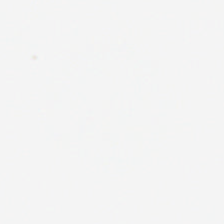Hematoxylin-and-eosin stained section. Q: Classify this patch.
A: The field shows empty background.
